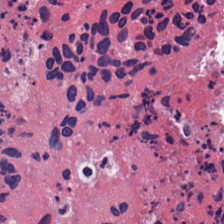Hematoxylin and eosin — Cellular debris.
